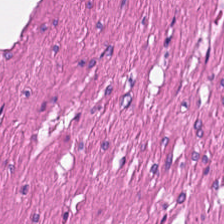224×224 px tile · brightfield microscopy · H&E stain — Q: What tissue is shown?
A: It is smooth-muscle tissue.
